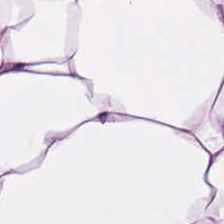FFPE tissue section. H&E-stained tissue section.
The tissue class is fat tissue.
